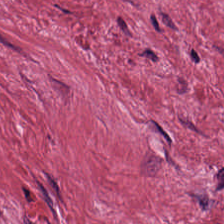Formalin-fixed paraffin-embedded section. H&E — Q: Identify the tissue.
A: The field shows cancer-associated stroma.
